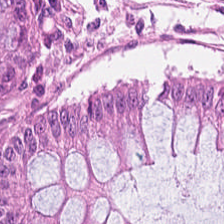Stain: hematoxylin and eosin.
Classification: normal colonic mucosa.
